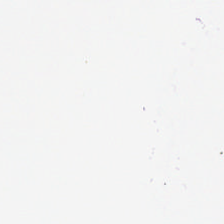H&E. Background (no tissue).
